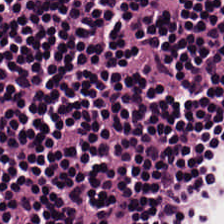0.5 µm/px. H&E stain — Q: Identify the tissue.
A: The field shows lymphocytes.
